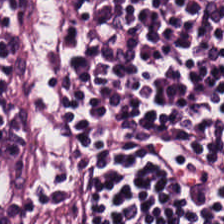H&E — Classification = lymphocyte aggregate.
